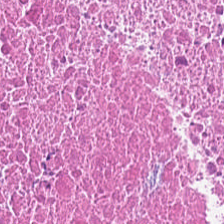Hematoxylin-and-eosin stained section — Q: Classify this patch.
A: Necrotic debris.
